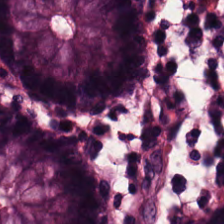H&E-stained tissue section; 224×224 px patch — Showing benign colonic mucosa.
